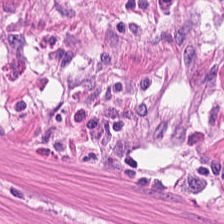Stain: H&E stain.
Classification: muscularis.
